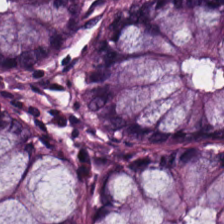H&E.
Showing benign colonic mucosa.
